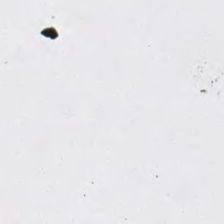Whole-slide-image patch; H&E-stained tissue section; 224×224 pixel tile.
No tissue present; background only.
